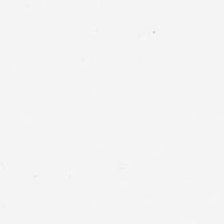Brightfield. H&E stain. 20× equivalent magnification.
Q: What is shown here?
A: The field shows empty background.
